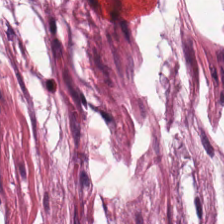Q: What type of tissue is this?
A: Mucin.
